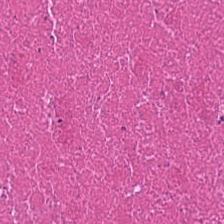H&E stain; 224×224 pixel tile.
{"tissue_type": "necrotic debris"}
